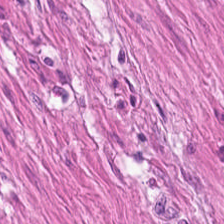Hematoxylin-and-eosin stained section. Tissue class: smooth-muscle tissue.
